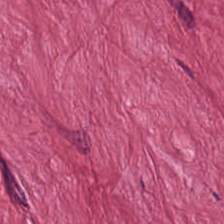Tissue class = cancer-associated stroma.
